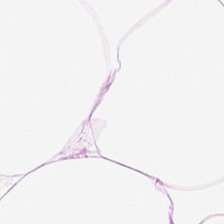Hematoxylin and eosin.
Tissue class — adipose.
